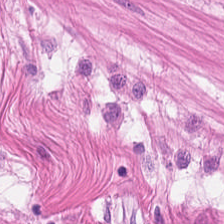Predominantly smooth-muscle tissue.
